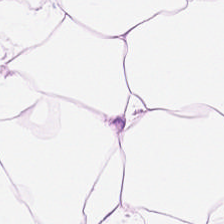Whole-slide-image patch. FFPE. H&E.
Q: What is the predominant tissue type?
A: It is adipose tissue.
